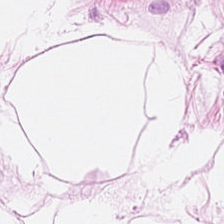H&E. Impression — adipose tissue.
